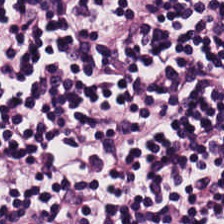H&E patch showing lymphocytes.
